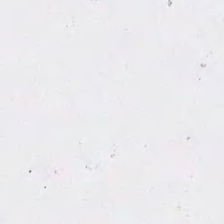Field content: background.
